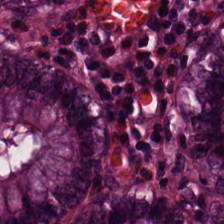H&E stain.
The tissue is normal colon mucosa.
